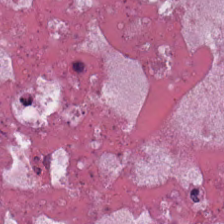Hematoxylin and eosin · 224×224 px patch · FFPE tissue section.
Classification: cellular debris.
